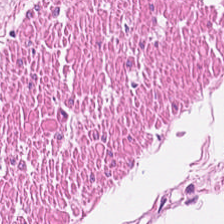Brightfield microscopy. H&E stain. FFPE — Predominantly smooth-muscle tissue.
